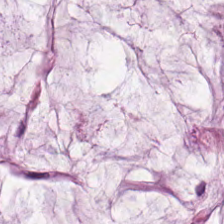H&E-stained tissue section — Impression — mucus.
